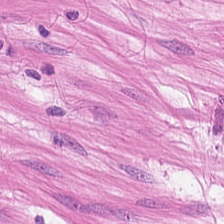H&E. 224×224 px patch.
{"tissue_type": "smooth-muscle tissue"}
